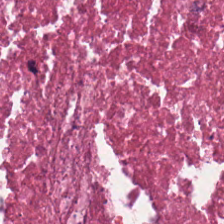Hematoxylin and eosin.
Predominant tissue = cellular debris.
